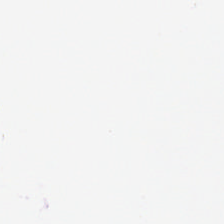H&E-stained tissue section.
Q: Classify this patch.
A: The field shows empty background.
